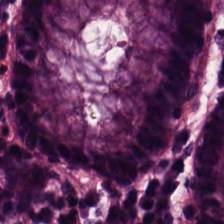Stain: H&E-stained tissue section.
Tissue: normal colonic mucosa.
